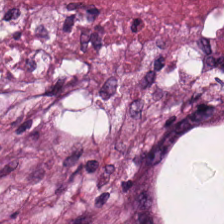Stain: hematoxylin-and-eosin stained section.
Tile size: 224×224 px patch.
Acquisition: whole-slide-image patch.
Tissue class: necrotic debris.
